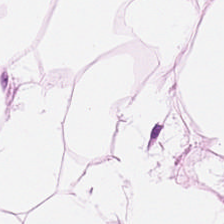This patch shows adipocytes.
